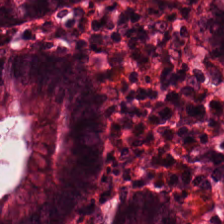Hematoxylin and eosin — Normal colon mucosa.
